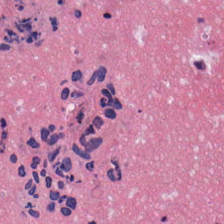Hematoxylin and eosin · 224×224 pixel tile.
Tissue class: debris.
